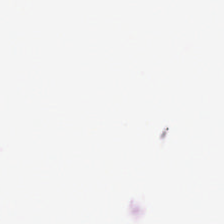Hematoxylin and eosin. 0.5 microns per pixel. {"content": "background"}
